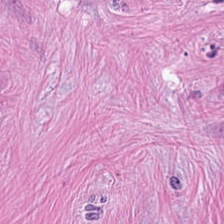Stain: hematoxylin-and-eosin stained section.
Classification: tumor-associated stroma.
